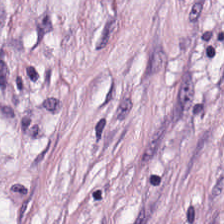Stain: H&E.
Predominant tissue: tumor-associated stroma.
